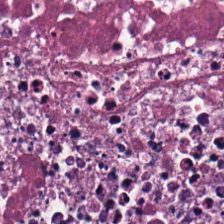H&E-stained tissue section; brightfield — Q: What type of tissue is this?
A: Debris.
